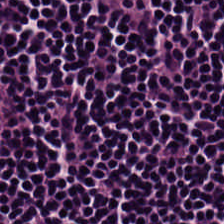Hematoxylin-and-eosin stained section. Predominantly lymphoid infiltrate.
